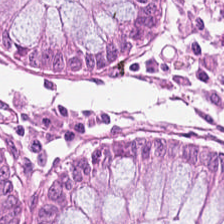Stain: H&E.
Tissue: normal colon mucosa.
